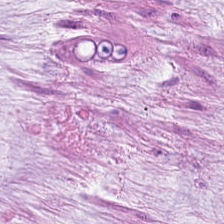Whole-slide-image patch. Hematoxylin and eosin.
The tissue type is mucus.
